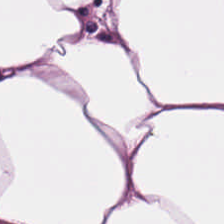224×224 px patch · hematoxylin and eosin.
This field is adipose tissue.
